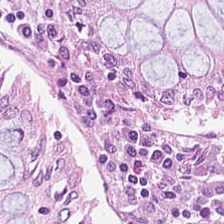H&E stain.
Normal colon mucosa.
